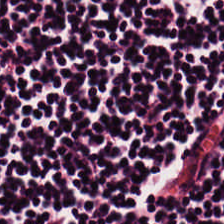This patch shows lymphocyte aggregate.
